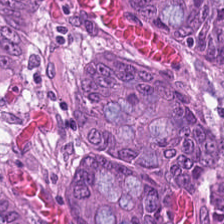The tissue here is colorectal adenocarcinoma epithelium.
